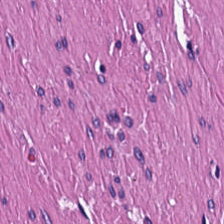This field is muscularis.
